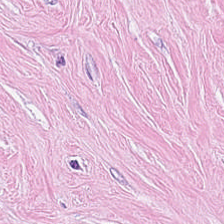Stain: hematoxylin-and-eosin stained section.
Predominant tissue: cancer-associated stroma.
